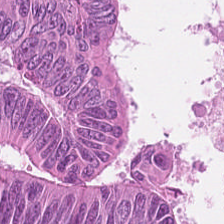H&E patch showing tumor epithelium.
